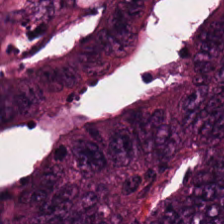FFPE tissue section · hematoxylin-and-eosin stained section · 0.5 microns per pixel. Q: Identify the tissue.
A: It is colorectal adenocarcinoma epithelium.
